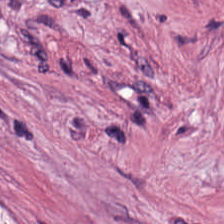0.5 µm/px. H&E. Brightfield — Tissue = tumor-associated stroma.
